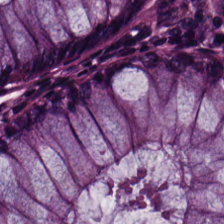Predominantly normal colon mucosa.
